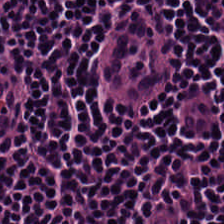Stain: H&E-stained tissue section.
Resolution: 0.5 µm per pixel.
Classification: lymphoid infiltrate.
